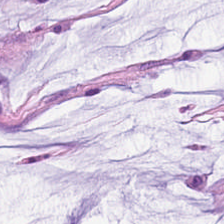Hematoxylin and eosin · formalin-fixed paraffin-embedded section · 0.5 µm per pixel. Tissue class: extracellular mucin.
